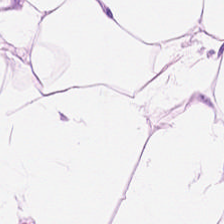Brightfield microscopy · H&E — The tissue type is adipose tissue.
